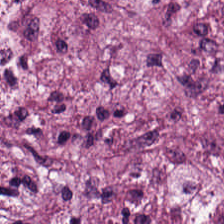224×224 px tile · 0.5 µm/px · H&E stain. Q: Classify this patch.
A: This is tumor-associated stroma.
